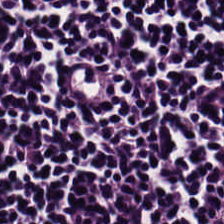H&E stain; WSI patch; FFPE tissue section — Tissue = lymphoid infiltrate.
